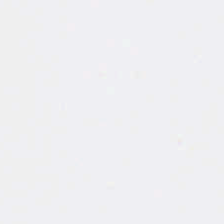H&E-stained tissue section. FFPE tissue section. 224×224 px patch — {"content": "no tissue"}
